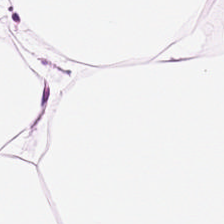H&E — adipose tissue.
